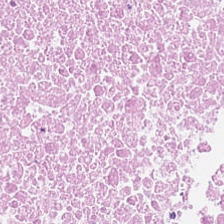Stain: H&E.
Classification: debris.
